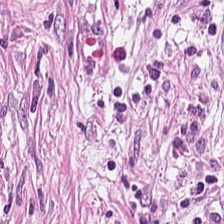{"tissue_type": "desmoplastic stroma"}
